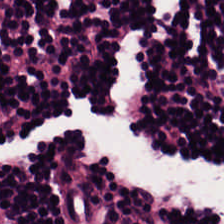Predominant tissue — lymphocytes.
